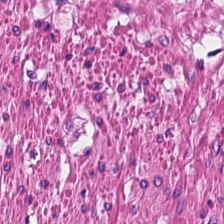Whole-slide-image patch · 224×224 px patch · hematoxylin-and-eosin stained section. Predominantly smooth muscle.
